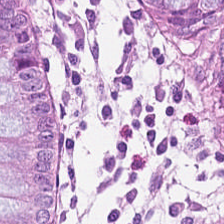FFPE tissue section. H&E. Tissue type — normal colonic mucosa.
